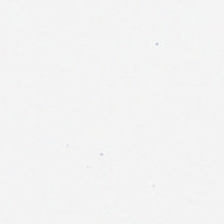Hematoxylin and eosin · 224×224 px patch.
Background — no tissue in this field.
